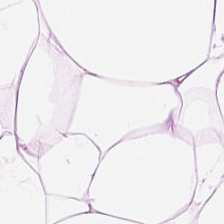H&E stain · 224×224 px tile — This patch shows adipose tissue.
